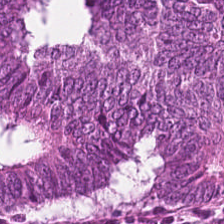Hematoxylin-and-eosin section: colorectal adenocarcinoma.
